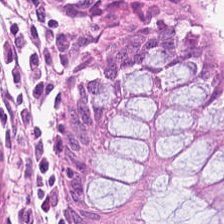Whole-slide-image patch. Hematoxylin and eosin — Predominant tissue = normal colon mucosa.
